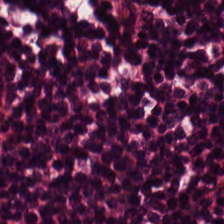H&E — Tissue type: lymphoid infiltrate.
